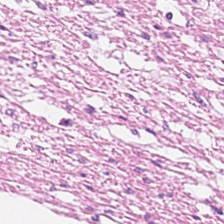H&E stain.
Finding → smooth-muscle tissue.
